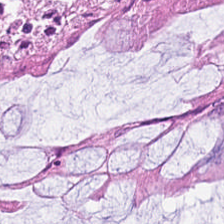Brightfield microscopy. Hematoxylin-and-eosin stained section. 20× equivalent magnification — Predominantly normal colonic mucosa.
